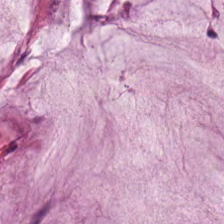The classification is extracellular mucin.
